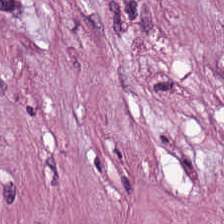Hematoxylin and eosin — Q: Classify this patch.
A: This is desmoplastic stroma.
